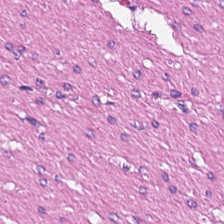224×224 px tile · hematoxylin-and-eosin stained section — This patch shows smooth-muscle tissue.
